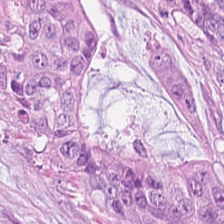Hematoxylin and eosin. {"tissue_type": "adenocarcinoma"}
